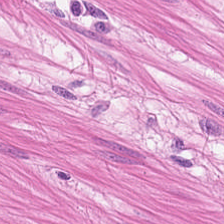0.5 microns per pixel · H&E.
Predominant tissue: smooth muscle.
